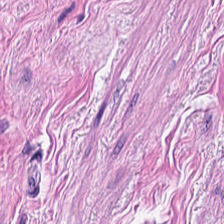Histology — smooth muscle.
